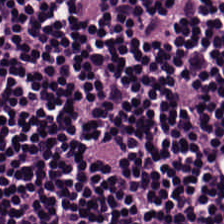H&E stain. Q: Classify this patch.
A: Lymphoid infiltrate.
